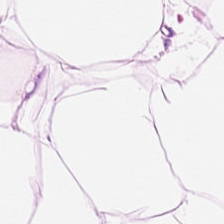Hematoxylin-and-eosin section: adipose tissue.
